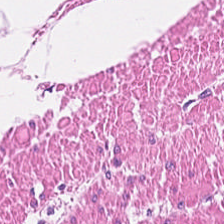H&E stain. 224×224 px patch — Q: What is the predominant tissue type?
A: This is muscularis.
